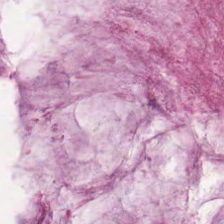Tissue type = mucin.
